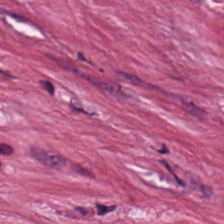224×224 px patch · H&E · 20× equivalent magnification — The predominant tissue is cancer-associated stroma.
